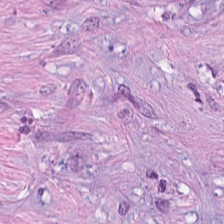0.5 microns per pixel · H&E-stained tissue section — Histology → tumor stroma.
